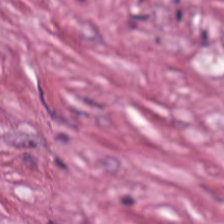20× equivalent magnification; H&E-stained tissue section — Classification = cancer-associated stroma.
